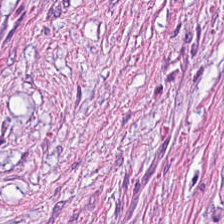H&E.
This patch shows tumor-associated stroma.
